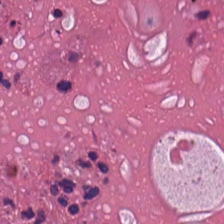224×224 px patch. H&E. WSI patch. Histology — necrotic debris.
